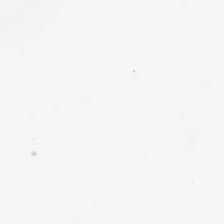Q: What is shown here?
A: The field shows empty background.
